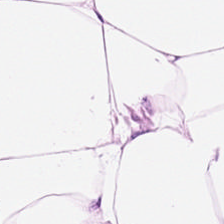Stain: H&E.
Tissue: fat tissue.
